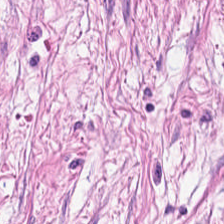Hematoxylin-and-eosin stained section. Finding — cancer-associated stroma.
